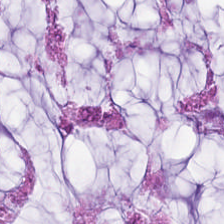FFPE. Hematoxylin-and-eosin stained section.
Q: What is shown here?
A: This is mucin.
